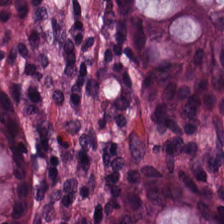H&E stain — This patch shows benign colonic mucosa.
